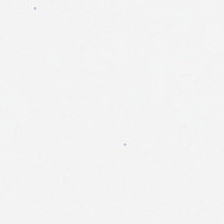H&E stain. 0.5 µm/px — This patch shows empty background.
